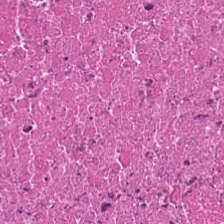Formalin-fixed paraffin-embedded section. 224×224 px tile. H&E-stained tissue section.
Tissue class — necrotic debris.
